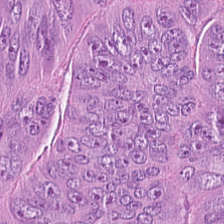0.5 µm/px · hematoxylin and eosin.
Classification = tumor epithelium.
